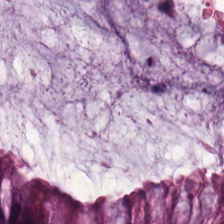Classification = normal colon mucosa.
